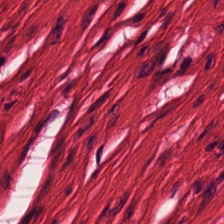Brightfield. FFPE. Hematoxylin and eosin.
Q: What is shown here?
A: The field shows smooth muscle.
